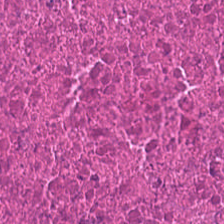{"tissue_type": "necrotic debris"}
